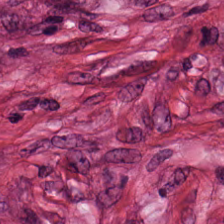Stain: H&E-stained tissue section.
Tissue type: tumor-associated stroma.
